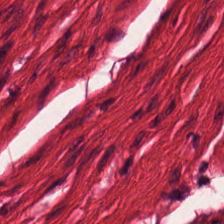20× equivalent magnification. H&E. FFPE tissue section. Q: What does this patch show?
A: It is smooth-muscle tissue.
